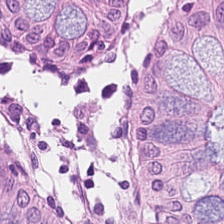H&E; 224×224 px tile. Impression — normal colonic mucosa.
